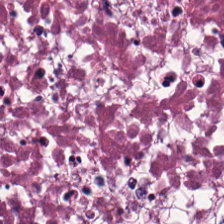Hematoxylin and eosin. Tissue type: debris.
